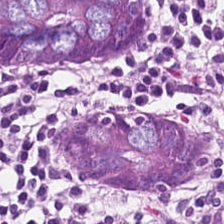Hematoxylin-and-eosin stained section · 0.5 µm/px — This field is benign colonic mucosa.
